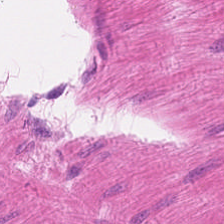Stain: H&E stain.
Preparation: FFPE tissue section.
Acquisition: WSI patch.
Predominant tissue: smooth muscle.
